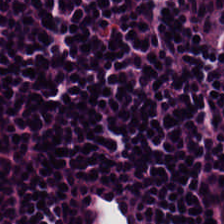Stain: H&E stain.
Classification: lymphocyte aggregate.
